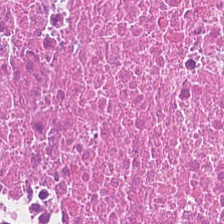Hematoxylin and eosin.
Predominantly debris.
